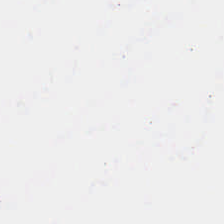Hematoxylin and eosin — Classification — background (no tissue).
